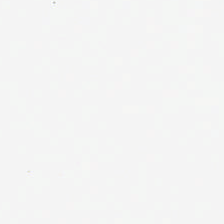No tissue present; background only.
